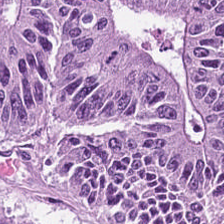Hematoxylin and eosin.
Tissue class: adenocarcinoma.
